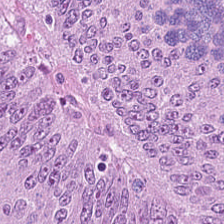H&E.
{"tissue_type": "tumor epithelium"}
